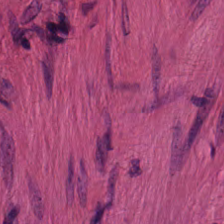H&E-stained tissue section; FFPE; brightfield — {"tissue_type": "muscularis"}
